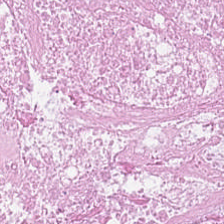224×224 px tile · 0.5 microns per pixel · H&E stain — This field is debris.
